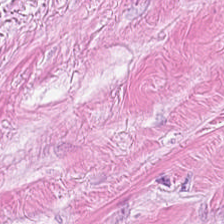0.5 µm/px; H&E-stained tissue section; 224×224 px patch — The classification is tumor-associated stroma.
